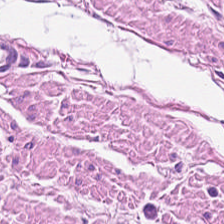Hematoxylin-and-eosin stained section.
{"tissue_type": "smooth-muscle tissue"}
